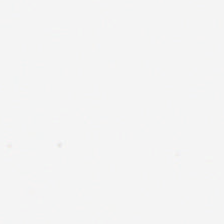H&E. Content = background.
